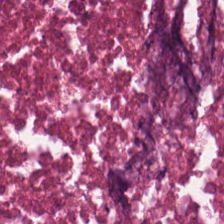Predominant tissue = cellular debris.
